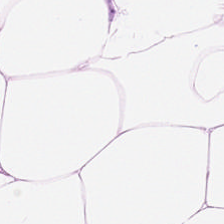224×224 px patch. H&E. The predominant tissue is adipocytes.
